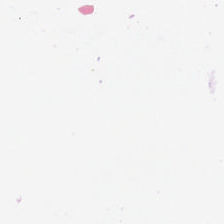FFPE · hematoxylin-and-eosin stained section — {"content": "background (no tissue)"}
